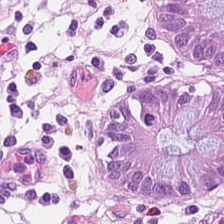Histology — benign colonic mucosa.
